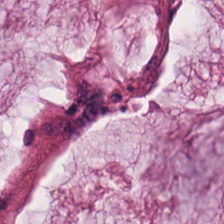FFPE. Hematoxylin and eosin. 0.5 µm/px. This patch shows extracellular mucin.
